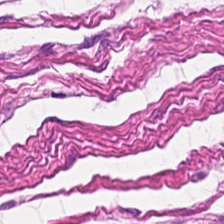Hematoxylin-and-eosin stained section; 0.5 microns per pixel.
Finding → smooth-muscle tissue.
